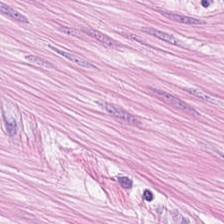H&E-stained tissue section. This patch shows smooth-muscle tissue.
